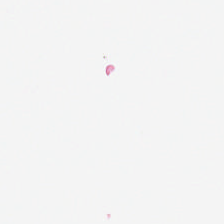H&E stain. 20× equivalent magnification.
{"content": "empty background"}
